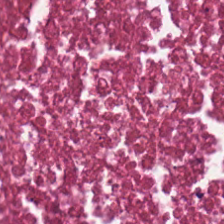Stain: hematoxylin-and-eosin stained section.
Tissue: debris.
